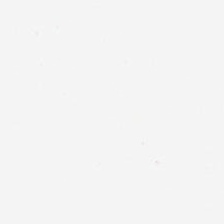H&E. Histology — background.
